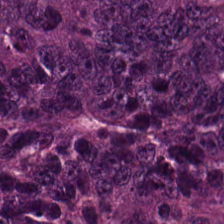0.5 microns per pixel; brightfield; H&E-stained tissue section. Q: Identify the tissue.
A: This is adenocarcinoma.
